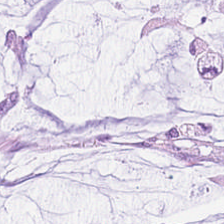H&E — Histology — mucus.
